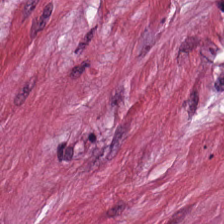Formalin-fixed paraffin-embedded section. Hematoxylin-and-eosin stained section.
The tissue here is tumor-associated stroma.
